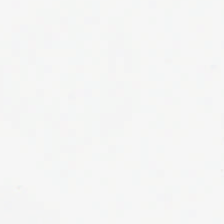Hematoxylin-and-eosin stained section. Histology → background.
